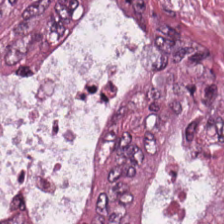Hematoxylin-and-eosin stained section · 20× equivalent magnification · WSI patch — The tissue here is colorectal adenocarcinoma.
